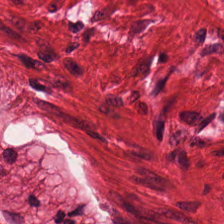H&E-stained tissue section. 224×224 px tile.
Tissue class = smooth muscle.
